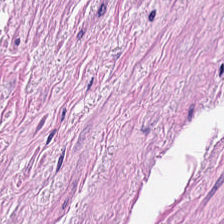Stain: H&E stain.
Tile size: 224×224 px tile.
Tissue: muscularis.
